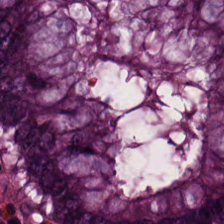0.5 microns per pixel; hematoxylin and eosin. Tissue type — normal colon mucosa.
